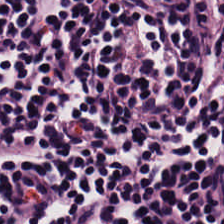Hematoxylin and eosin · formalin-fixed paraffin-embedded section.
Predominantly lymphocyte aggregate.
